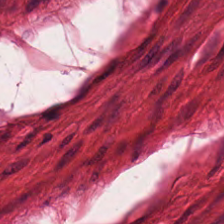Predominantly smooth muscle.
